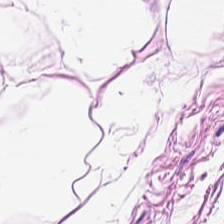The tissue is adipose.
